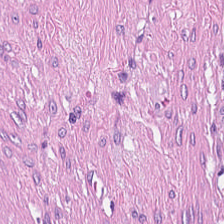Predominantly tumor-associated stroma.
